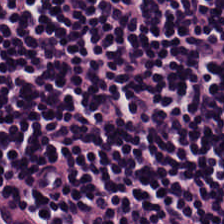WSI patch · H&E-stained tissue section — Tissue type = lymphocyte aggregate.
